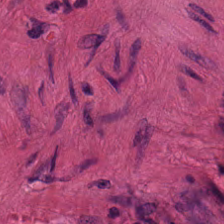Hematoxylin-and-eosin stained section.
Q: What type of tissue is this?
A: This is smooth muscle.
